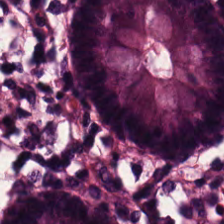H&E. This field is non-neoplastic colon mucosa.
